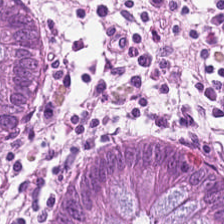H&E-stained tissue section showing benign colonic mucosa.
